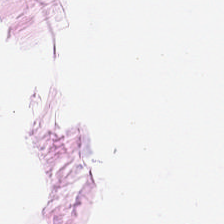224×224 px tile; H&E stain — Predominantly adipose tissue.
